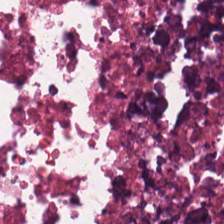{"tissue_type": "cellular debris"}
